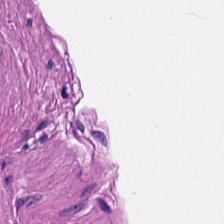Stain: hematoxylin-and-eosin stained section.
Acquisition: brightfield microscopy.
Tile size: 224×224 px tile.
Tissue: smooth-muscle tissue.
